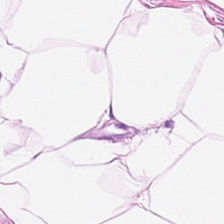H&E stain · 0.5 µm per pixel.
Histology → adipose tissue.
